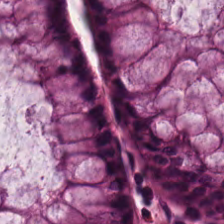Hematoxylin-and-eosin stained section — Tissue class = normal colonic mucosa.
